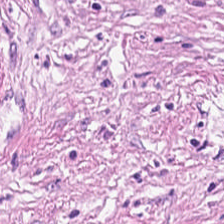H&E-stained tissue section. This patch shows tumor stroma.
